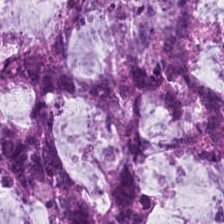H&E. Q: Identify the tissue.
A: It is mucin.
